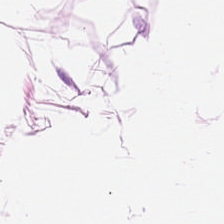FFPE; H&E stain; 20× equivalent magnification. Q: What does this patch show?
A: The field shows adipose.
